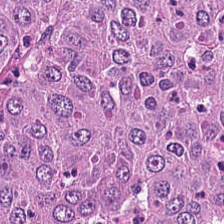H&E — tumor epithelium.
